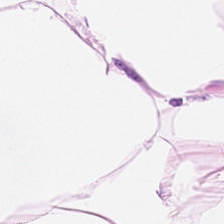Stain: hematoxylin-and-eosin stained section.
Tissue: fat tissue.
